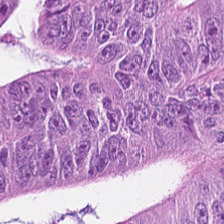Hematoxylin-and-eosin section: colorectal adenocarcinoma.
